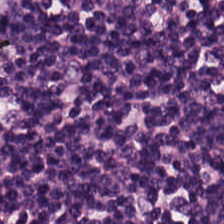Histology → lymphocytic infiltrate.
